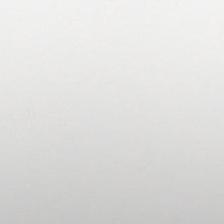Hematoxylin-and-eosin stained section. 224×224 px patch. 0.5 µm/px. Impression — empty background.
